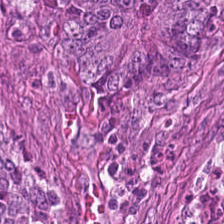Q: What tissue is shown?
A: Colorectal adenocarcinoma.
